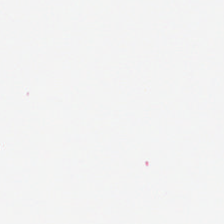H&E. Finding — background (no tissue).
